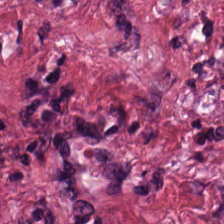Hematoxylin-and-eosin stained section.
Tumor-associated stroma.
